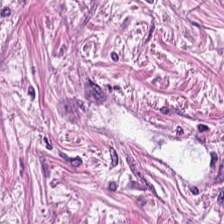Hematoxylin-and-eosin stained section — Tissue class = cancer-associated stroma.
